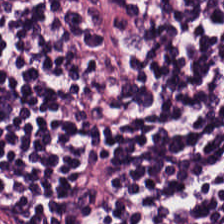Showing lymphocytic infiltrate.
